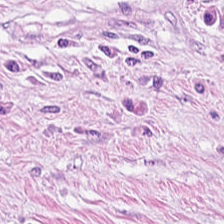This patch shows desmoplastic stroma.
